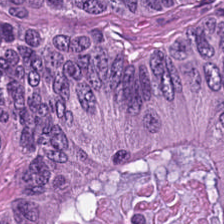H&E-stained tissue section — Q: What type of tissue is this?
A: The field shows colorectal adenocarcinoma.
